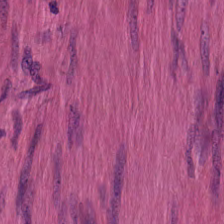Hematoxylin and eosin — The tissue here is smooth muscle.
